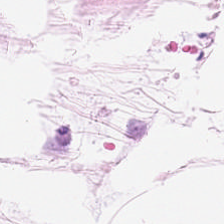This field is adipose.
